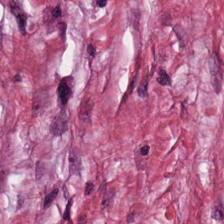Hematoxylin-and-eosin stained section · brightfield · 224×224 px patch.
Impression — cancer-associated stroma.
